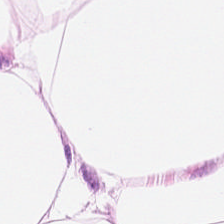Hematoxylin-and-eosin stained section — The tissue type is adipose tissue.
